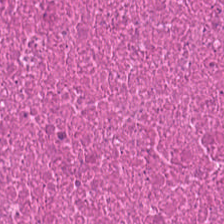H&E stain.
Cellular debris.
